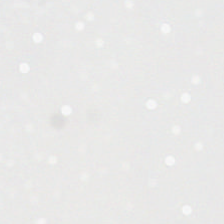Empty field — no tissue.
